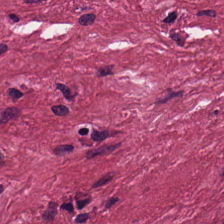FFPE · H&E-stained tissue section · 224×224 px patch. Impression — desmoplastic stroma.
